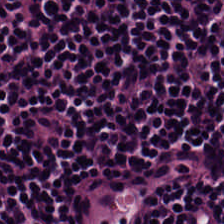H&E stain; 224×224 px patch; brightfield.
The predominant tissue is lymphocytes.
